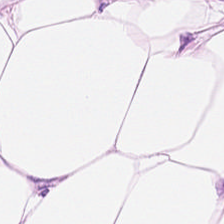Hematoxylin-and-eosin stained section.
Impression — fat tissue.
